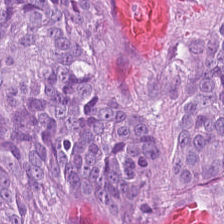Hematoxylin and eosin. Predominant tissue — adenocarcinoma.
